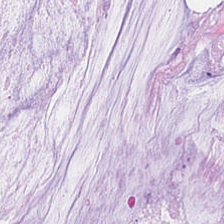Stain: H&E.
Predominant tissue: extracellular mucin.
